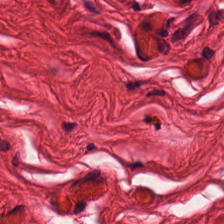This patch shows smooth muscle.
